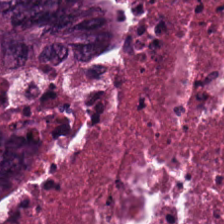Stain: H&E-stained tissue section.
Tile size: 224×224 px tile.
Classification: malignant epithelium.
